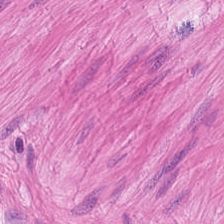Tissue class: muscularis.
